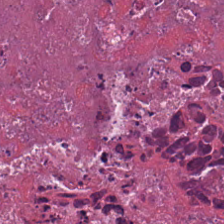H&E-stained tissue section. Q: What is shown here?
A: The field shows necrotic debris.
